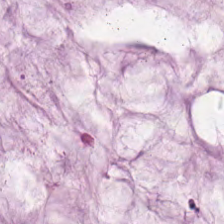H&E stain; FFPE tissue section.
Histology — mucus.
